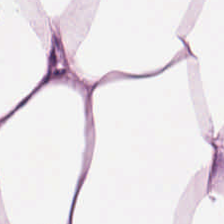Q: What is shown in this field?
A: It is fat tissue.
